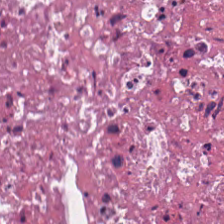H&E-stained tissue section · formalin-fixed paraffin-embedded section · 0.5 µm/px — Histology — cellular debris.
